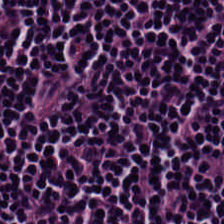Stain: hematoxylin and eosin.
Tissue: lymphocytic infiltrate.
